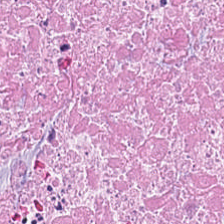H&E. Formalin-fixed paraffin-embedded section.
Necrotic debris.
